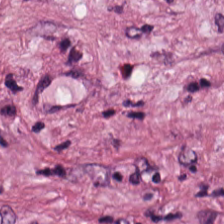0.5 µm/px · hematoxylin-and-eosin stained section. Histology → cancer-associated stroma.
